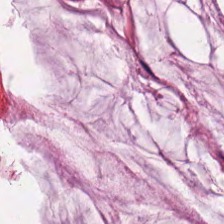H&E — mucin.
